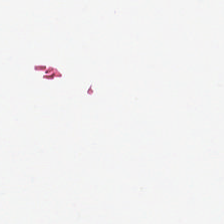Stain: H&E stain.
Content: background (no tissue).
